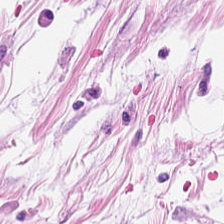Hematoxylin-and-eosin stained section · 224×224 px patch. Classification — adipose tissue.
